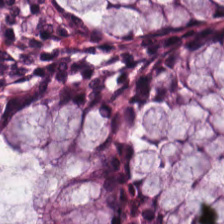H&E. Impression — normal colonic mucosa.
